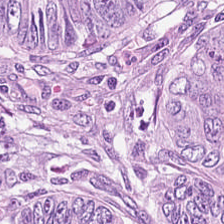H&E patch showing colorectal adenocarcinoma epithelium.
